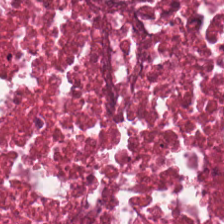H&E-stained tissue section. The predominant tissue is debris.
